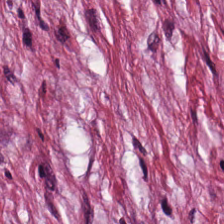0.5 µm per pixel · H&E stain.
The tissue here is desmoplastic stroma.
